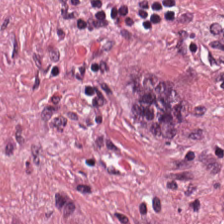This field is tumor-associated stroma.
